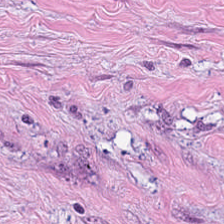Hematoxylin and eosin. Q: What does this patch show?
A: Tumor-associated stroma.
